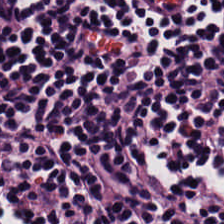H&E patch showing lymphoid infiltrate.
